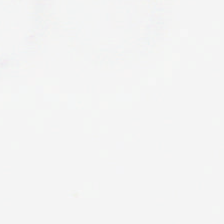H&E stain — Classification = background.
